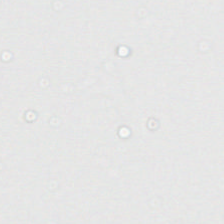Stain: H&E-stained tissue section.
Content: background.
